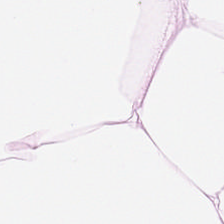Hematoxylin-and-eosin stained section; FFPE.
Fat tissue.
